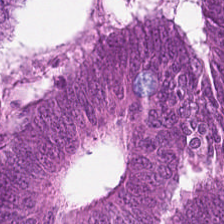224×224 px patch; H&E-stained tissue section. Predominantly colorectal adenocarcinoma.
